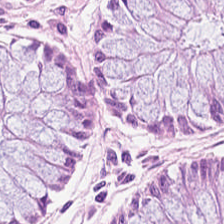Q: What tissue type is shown here?
A: The field shows normal colonic mucosa.
